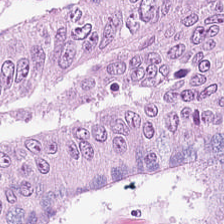H&E · WSI patch. Showing tumor epithelium.
